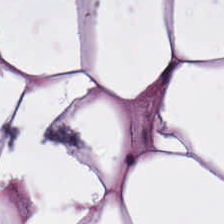Histology → adipose.
